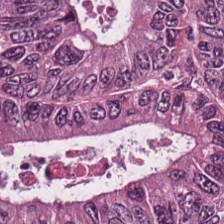H&E patch showing adenocarcinoma.
